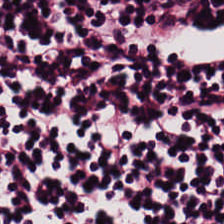Classification — lymphocyte aggregate.
